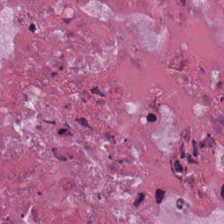Q: What is shown in this field?
A: This is cellular debris.
